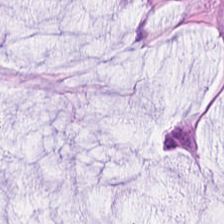H&E stain. {"tissue_type": "mucin"}
